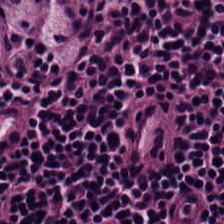Brightfield. Hematoxylin and eosin. FFPE tissue section.
Lymphocyte aggregate.
